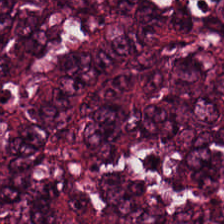H&E stain. 224×224 px patch — This field is adenocarcinoma.
